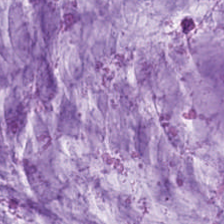Hematoxylin and eosin — The tissue here is mucin.
